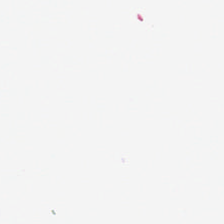No tissue.
